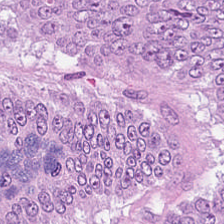Stain: H&E stain.
Tissue type: malignant epithelium.
